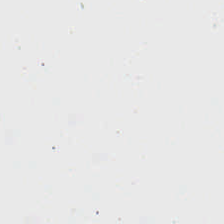This patch shows no tissue.
